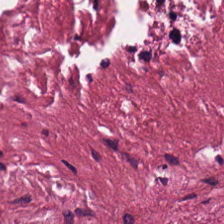Stain: hematoxylin-and-eosin stained section.
Preparation: FFPE.
Tissue class: tumor stroma.
